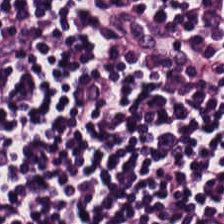Predominant tissue — lymphocyte aggregate.
